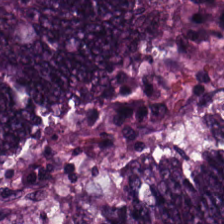Hematoxylin-and-eosin stained section; WSI patch.
The tissue here is adenocarcinoma.
